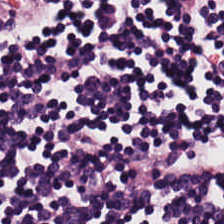Stain: hematoxylin and eosin.
Tissue class: lymphoid infiltrate.
